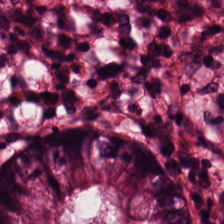H&E — normal colon mucosa.
